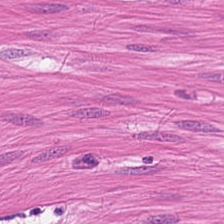H&E-stained section; the field shows smooth-muscle tissue.
